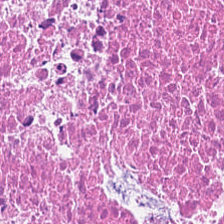H&E.
Classification = necrotic debris.
